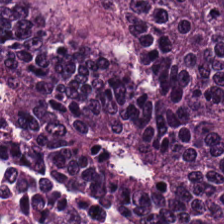224×224 pixel tile. Hematoxylin and eosin — This patch shows colorectal adenocarcinoma epithelium.
